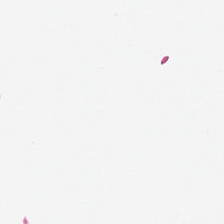H&E-stained tissue section — Field content — empty background.
